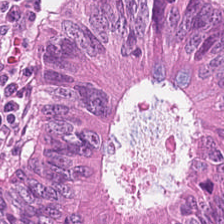H&E — Q: What tissue type is shown here?
A: It is colorectal adenocarcinoma epithelium.
